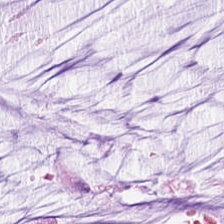Hematoxylin-and-eosin stained section.
{"tissue_type": "extracellular mucin"}
